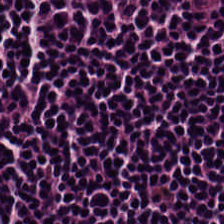Whole-slide-image patch · H&E — Q: What does this patch show?
A: It is lymphoid infiltrate.
